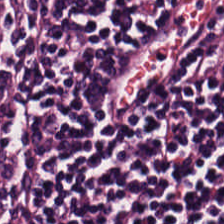Hematoxylin-and-eosin stained section — The tissue is lymphocytes.
